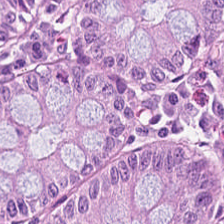Q: What is shown in this field?
A: This is non-neoplastic colon mucosa.
